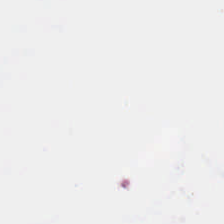Hematoxylin-and-eosin stained section — Background — no tissue in this field.
